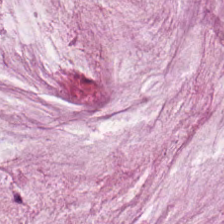0.5 µm/px; hematoxylin-and-eosin stained section — Tissue: extracellular mucin.
